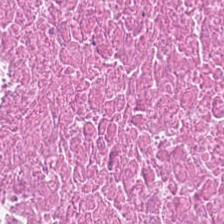This field is debris.
